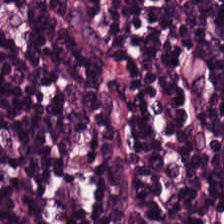Hematoxylin and eosin. FFPE.
Tissue type: lymphocytes.
